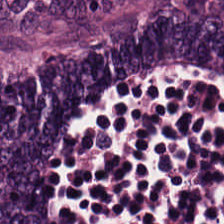Hematoxylin and eosin — Impression — colorectal adenocarcinoma epithelium.
